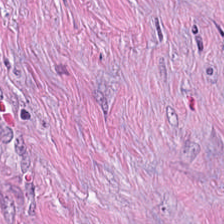Stain: hematoxylin and eosin.
Tissue: desmoplastic stroma.
